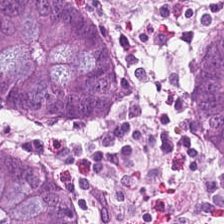This patch shows normal colon mucosa.
